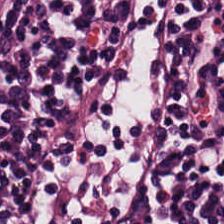0.5 µm/px · FFPE · hematoxylin-and-eosin stained section.
Histology — lymphocyte aggregate.
